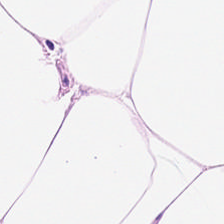The tissue is adipocytes.
